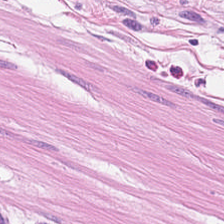224×224 pixel tile · hematoxylin-and-eosin stained section.
Tissue type: smooth-muscle tissue.
